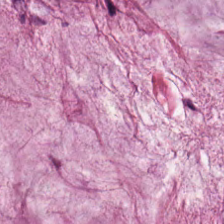{"tissue_type": "mucin"}
